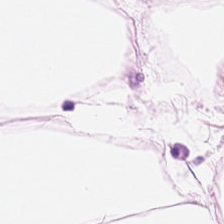Stain: hematoxylin and eosin.
Tissue type: adipocytes.
